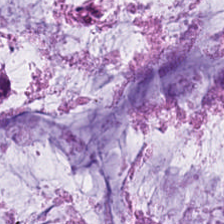Brightfield · H&E. Q: Identify the tissue.
A: It is extracellular mucin.
